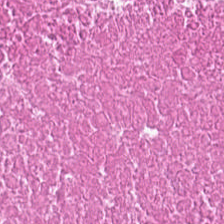H&E-stained tissue section.
The tissue here is cellular debris.
